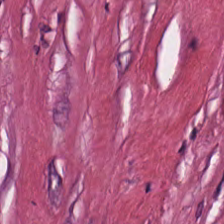Histology → tumor-associated stroma.
